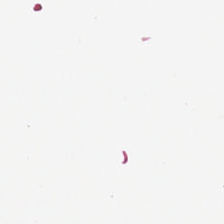H&E-stained tissue section; 20× equivalent magnification.
Q: Classify this patch.
A: It is empty background.
